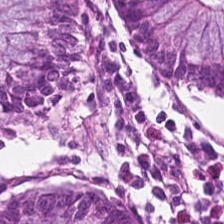0.5 microns per pixel; hematoxylin-and-eosin stained section — Predominantly non-neoplastic colon mucosa.
